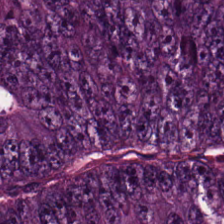Hematoxylin and eosin. Predominant tissue — colorectal adenocarcinoma epithelium.
